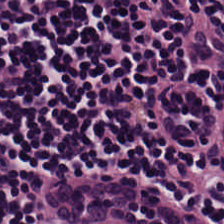Hematoxylin-and-eosin section: lymphocytes.
